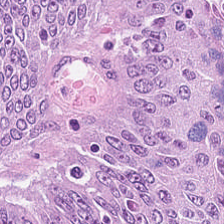H&E-stained tissue section. This patch shows colorectal adenocarcinoma epithelium.
